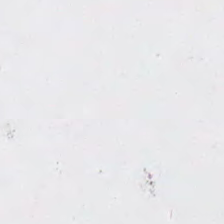H&E — Field content: empty background.
